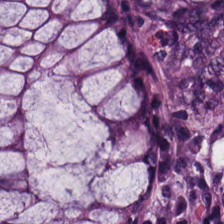H&E-stained tissue section. Q: Classify this patch.
A: The field shows benign colonic mucosa.
